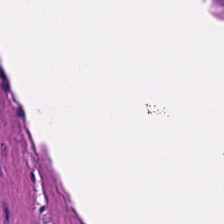Q: What is the predominant tissue type?
A: The field shows smooth muscle.
